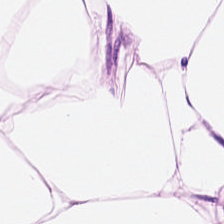H&E stain — Finding — fat tissue.
